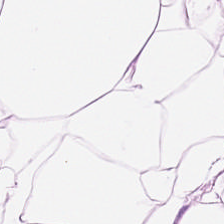Hematoxylin-and-eosin stained section — Impression → adipocytes.
